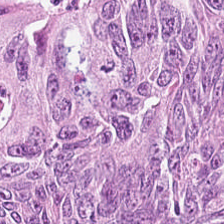Tissue type — colorectal adenocarcinoma epithelium.
